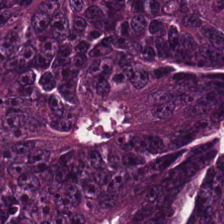H&E. Tissue class — adenocarcinoma.
